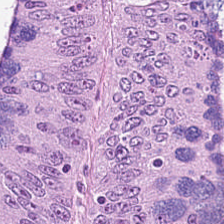H&E-stained tissue section. FFPE. 224×224 px patch.
Tissue type — colorectal adenocarcinoma epithelium.
